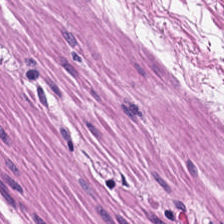The tissue type is muscularis.
